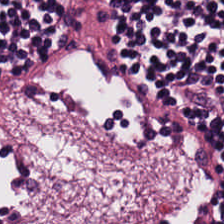Hematoxylin-and-eosin stained section. 224×224 px patch.
Tissue = lymphocytic infiltrate.
